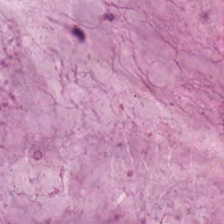224×224 px tile. 0.5 µm per pixel. Hematoxylin and eosin — The tissue here is mucin.
